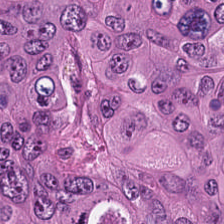Hematoxylin-and-eosin stained section — {"tissue_type": "adenocarcinoma"}
